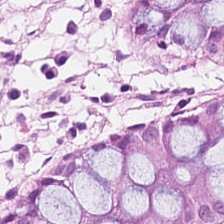Hematoxylin-and-eosin stained section — Q: What tissue is shown?
A: The field shows normal colon mucosa.
